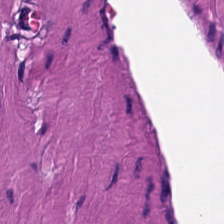Q: What is shown here?
A: Smooth muscle.
